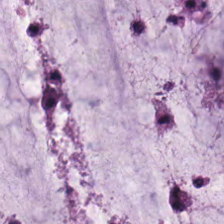H&E stain — Classification = extracellular mucin.
